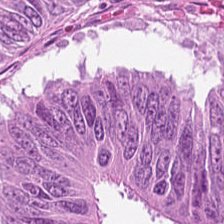Stain: hematoxylin and eosin.
Tissue type: colorectal adenocarcinoma epithelium.
